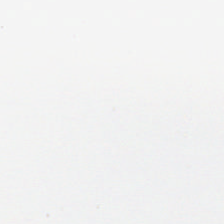WSI patch · hematoxylin and eosin — Content = background.
